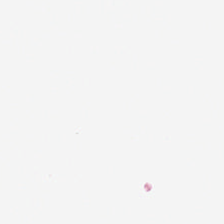0.5 microns per pixel · H&E-stained tissue section.
Q: What is shown here?
A: The field shows empty background.
